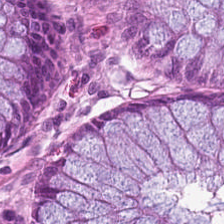FFPE tissue section. 20× equivalent magnification. H&E stain.
The predominant tissue is non-neoplastic colon mucosa.
